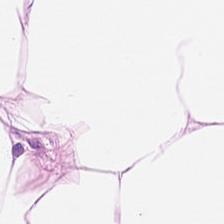Stain: H&E-stained tissue section.
Tissue type: adipose tissue.
